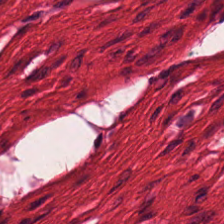Hematoxylin-and-eosin stained section — Predominant tissue = smooth muscle.
